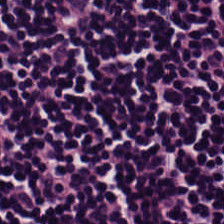Q: Classify this patch.
A: The field shows lymphocytes.
